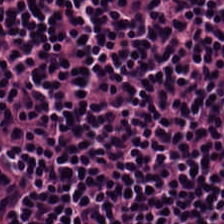This patch shows lymphocytic infiltrate.
